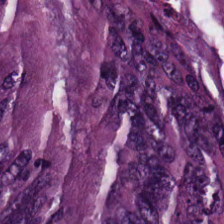FFPE · hematoxylin and eosin. Showing colorectal adenocarcinoma.
